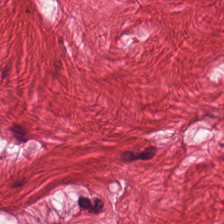H&E.
Q: What tissue type is shown here?
A: Smooth muscle.
